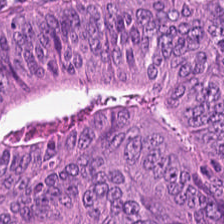0.5 µm/px; hematoxylin-and-eosin stained section. Impression → colorectal adenocarcinoma epithelium.
